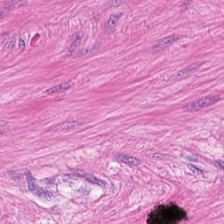H&E — muscularis.
